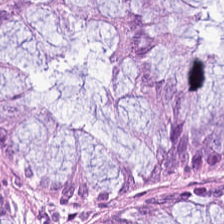Hematoxylin and eosin; 0.5 µm/px.
Finding — non-neoplastic colon mucosa.
